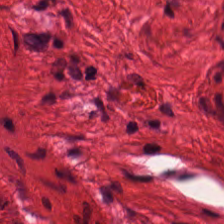Q: Identify the tissue.
A: Muscularis.
